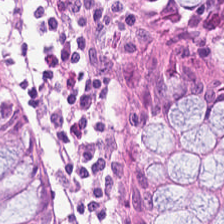H&E-stained section; the field shows normal colon mucosa.
